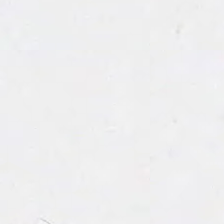H&E stain. This patch shows background.
